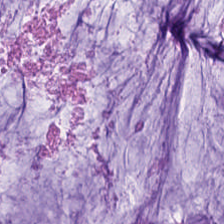FFPE tissue section; H&E; WSI patch.
The tissue here is mucus.
